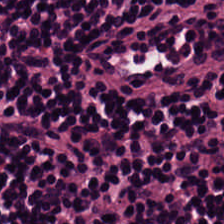Brightfield microscopy. Hematoxylin and eosin. 20× equivalent magnification. The predominant tissue is lymphocyte aggregate.
